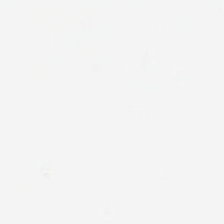Stain: hematoxylin-and-eosin stained section.
Field content: background.
